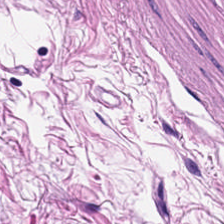H&E stain. The tissue here is smooth muscle.
